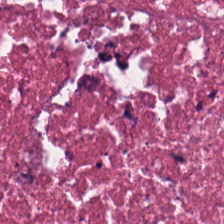Stain: hematoxylin and eosin.
Tissue type: cellular debris.
